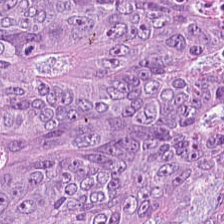H&E-stained tissue section.
{"tissue_type": "colorectal adenocarcinoma epithelium"}
